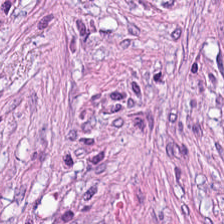224×224 px patch · H&E-stained tissue section. This field is tumor-associated stroma.
